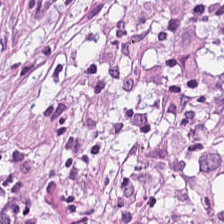Tissue: tumor-associated stroma.
